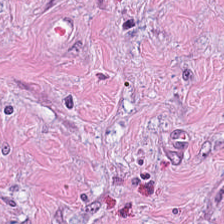Stain: hematoxylin-and-eosin stained section.
Predominant tissue: desmoplastic stroma.
